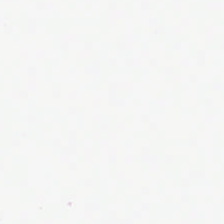224×224 pixel tile; H&E; 20× equivalent magnification. Classification — no tissue.
